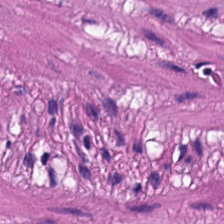Stain: hematoxylin-and-eosin stained section.
Preparation: FFPE.
Tissue type: muscularis.
